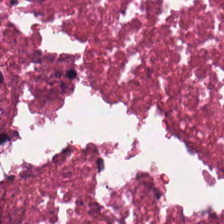H&E · FFPE · 224×224 px tile.
{"tissue_type": "necrotic debris"}
